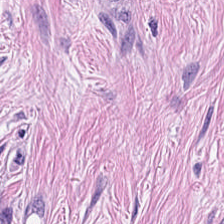Stain: H&E-stained tissue section.
Tile size: 224×224 px patch.
Preparation: FFPE.
Tissue: desmoplastic stroma.
